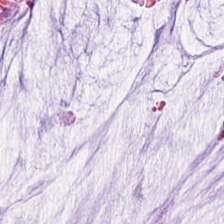The tissue is mucus.
